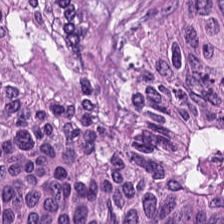Whole-slide-image patch. H&E. 224×224 pixel tile. Finding → colorectal adenocarcinoma.
